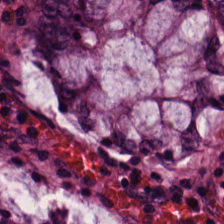H&E patch showing benign colonic mucosa.
